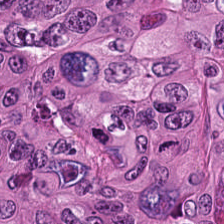H&E stain · FFPE.
The predominant tissue is tumor epithelium.
